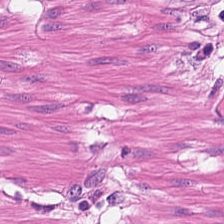FFPE · hematoxylin-and-eosin stained section.
Tissue — smooth muscle.
